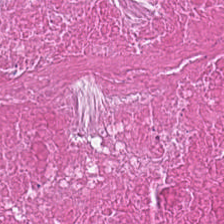Hematoxylin and eosin.
Showing necrotic debris.
